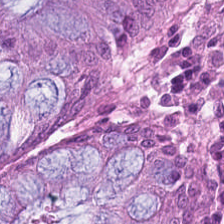Hematoxylin-and-eosin stained section.
Tissue: normal colon mucosa.
